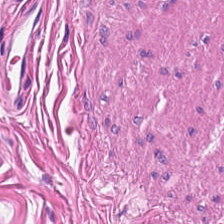0.5 µm per pixel; hematoxylin and eosin. The predominant tissue is muscularis.
